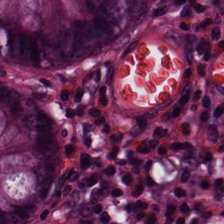H&E stain — Non-neoplastic colon mucosa.
